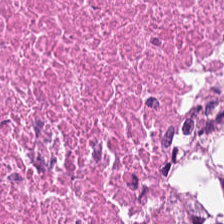H&E patch showing cellular debris.
